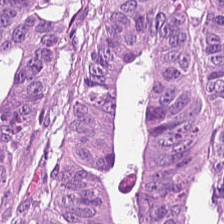Stain: H&E stain.
Tile size: 224×224 px patch.
Tissue: malignant epithelium.
